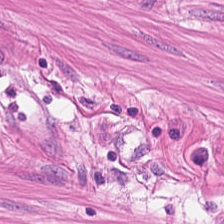Tissue type: smooth-muscle tissue.
